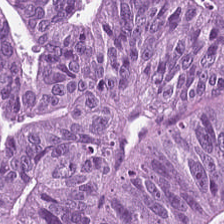H&E-stained tissue section — Finding — malignant epithelium.
